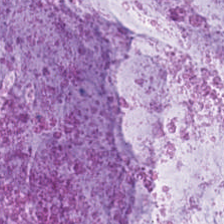H&E. The classification is mucus.
